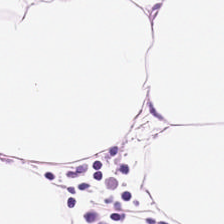Q: What tissue is shown?
A: It is adipocytes.
